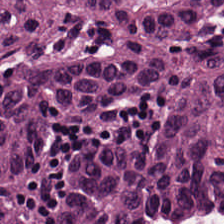Stain: hematoxylin-and-eosin stained section.
Acquisition: whole-slide-image patch.
Preparation: FFPE.
Predominant tissue: tumor epithelium.
